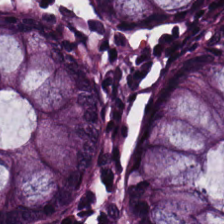Hematoxylin and eosin — {"tissue_type": "normal colonic mucosa"}
